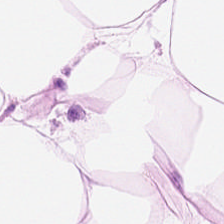H&E stain — Predominant tissue = fat tissue.
